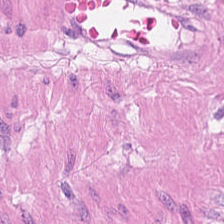Hematoxylin-and-eosin stained section. The predominant tissue is smooth muscle.
